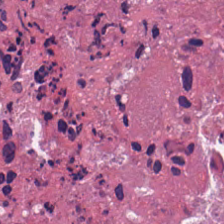FFPE tissue section; H&E — The tissue class is cellular debris.
